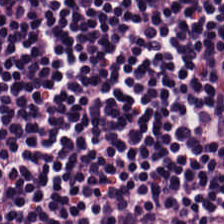H&E-stained tissue section showing lymphocytes.
